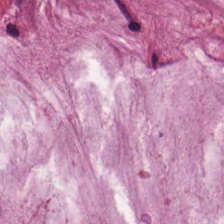The predominant tissue is mucin.
